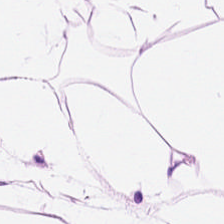H&E stain — Tissue: adipose.
